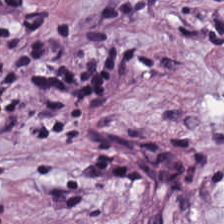Hematoxylin-and-eosin stained section.
Tissue — desmoplastic stroma.
